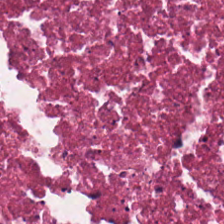Hematoxylin-and-eosin stained section.
Q: What tissue type is shown here?
A: The field shows cellular debris.
